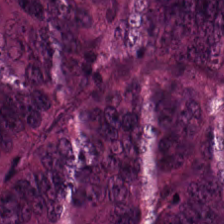Tissue type = tumor epithelium.
